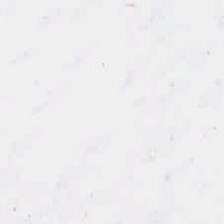H&E; 224×224 pixel tile. Classification: background (no tissue).
